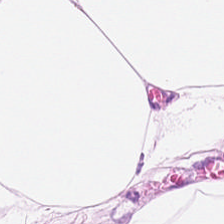Showing adipose.
